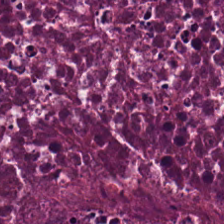H&E — Q: What is shown here?
A: This is cellular debris.
